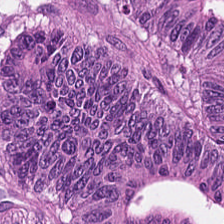H&E-stained tissue section — Finding → colorectal adenocarcinoma epithelium.
